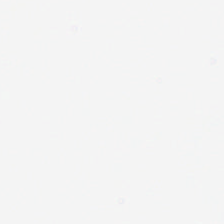Hematoxylin-and-eosin stained section.
The content is empty background.
